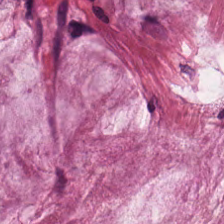Brightfield; H&E-stained tissue section.
This patch shows mucus.
